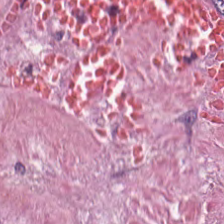Whole-slide-image patch · H&E stain — The classification is desmoplastic stroma.
